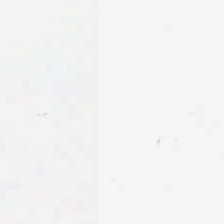Hematoxylin-and-eosin stained section. Q: What is shown here?
A: It is empty background.
